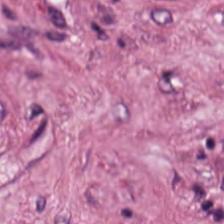Tissue = cancer-associated stroma.
